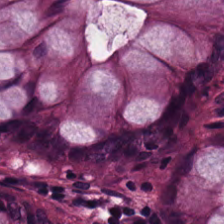224×224 pixel tile · whole-slide-image patch · H&E. Histology → non-neoplastic colon mucosa.
